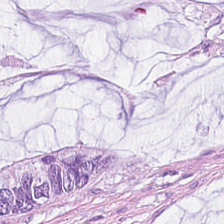Impression → mucin.
